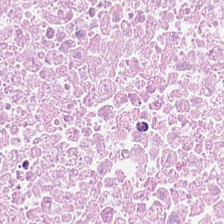Stain: hematoxylin and eosin.
Tissue type: necrotic debris.
